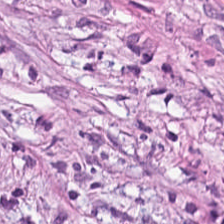FFPE; H&E — Predominant tissue — desmoplastic stroma.
